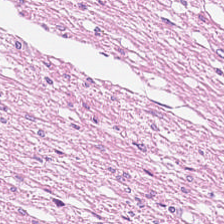{"tissue_type": "smooth-muscle tissue"}
